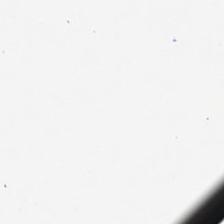224×224 px patch; H&E.
This patch shows no tissue.
